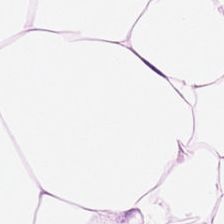H&E; WSI patch.
Tissue class — adipose tissue.
